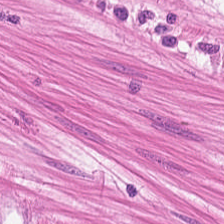H&E-stained tissue section.
Classification — smooth-muscle tissue.
